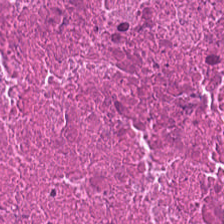H&E stain. Classification: cellular debris.
